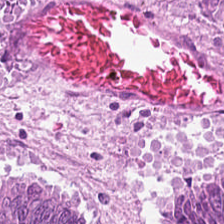Stain: hematoxylin and eosin.
Predominant tissue: adenocarcinoma.
